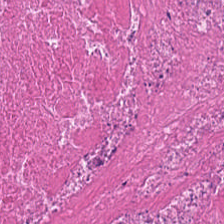0.5 µm/px · H&E · 224×224 px patch.
Q: What type of tissue is this?
A: Debris.
